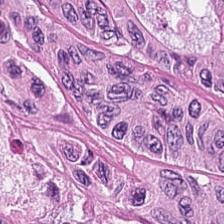H&E stain.
Q: What is the predominant tissue type?
A: Adenocarcinoma.
